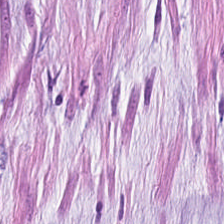H&E stain — This patch shows mucus.
